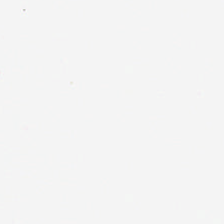0.5 µm per pixel · H&E stain · 224×224 px tile.
This patch shows empty background.
